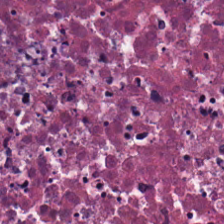H&E stain.
This field is cellular debris.
